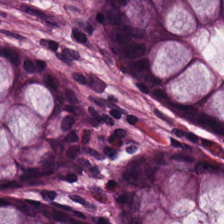H&E — This patch shows non-neoplastic colon mucosa.
